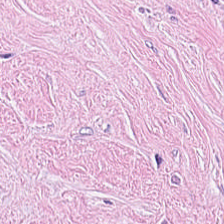Hematoxylin and eosin. FFPE. Brightfield.
Q: What is shown in this field?
A: It is cancer-associated stroma.
